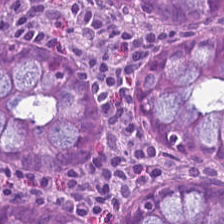The predominant tissue is non-neoplastic colon mucosa.
